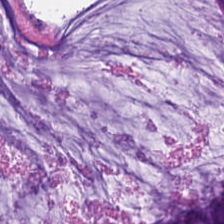H&E-stained tissue section — The tissue type is extracellular mucin.
